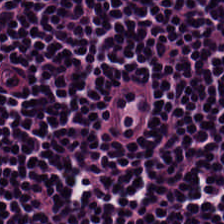Hematoxylin and eosin — Predominantly lymphocytes.
